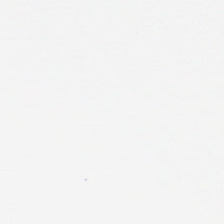H&E stain. Classification = no tissue.
